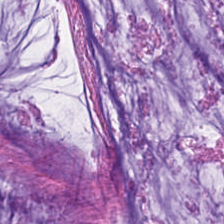H&E stain. The predominant tissue is extracellular mucin.
